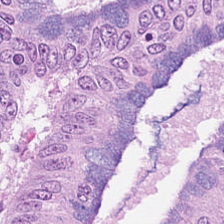H&E; brightfield — The predominant tissue is tumor epithelium.
